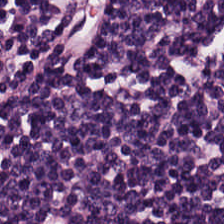H&E-stained tissue section.
The tissue is lymphocytes.
